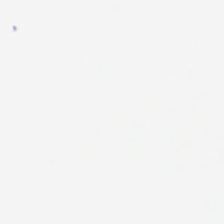Formalin-fixed paraffin-embedded section; hematoxylin-and-eosin stained section — The content is background (no tissue).
